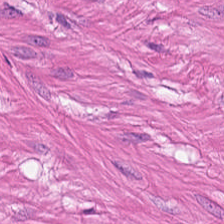Formalin-fixed paraffin-embedded section; brightfield microscopy; H&E-stained tissue section. Q: Identify the tissue.
A: The field shows muscularis.
